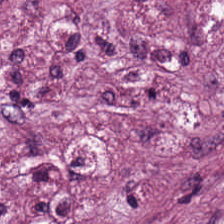Showing desmoplastic stroma.
